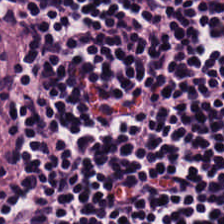Showing lymphocyte aggregate.
